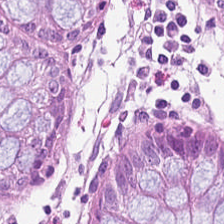Hematoxylin-and-eosin stained section; brightfield microscopy; 224×224 pixel tile — {"tissue_type": "normal colonic mucosa"}
